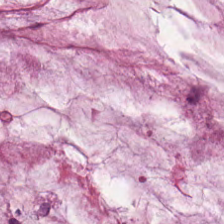The predominant tissue is extracellular mucin.
